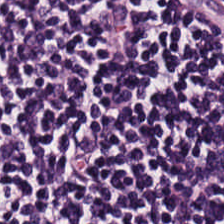Hematoxylin-and-eosin stained section.
Tissue — lymphocyte aggregate.
